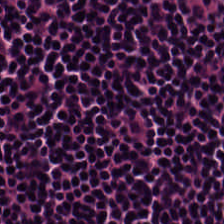H&E stain. Lymphocytes.
